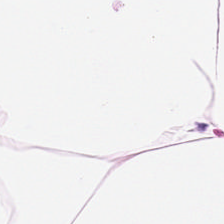Hematoxylin and eosin.
Impression → adipocytes.
